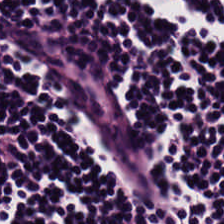Stain: H&E-stained tissue section.
Classification: lymphocytic infiltrate.
